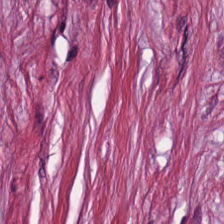H&E-stained tissue section.
Classification — tumor-associated stroma.
